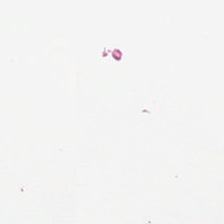The field content is background (no tissue).
